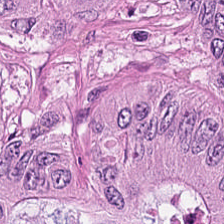Hematoxylin-and-eosin stained section — The tissue here is malignant epithelium.
